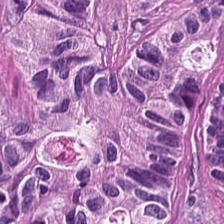H&E.
Classification: tumor epithelium.
